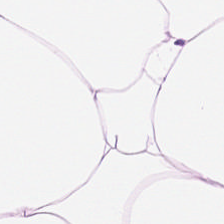0.5 µm per pixel; hematoxylin-and-eosin stained section — Finding → adipose tissue.
